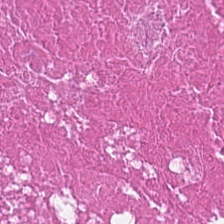H&E · 224×224 px patch.
This field is necrotic debris.
